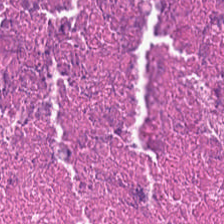Hematoxylin and eosin · 224×224 px patch — Q: Classify this patch.
A: Cellular debris.
